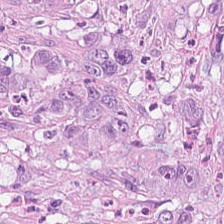FFPE; 224×224 px tile; hematoxylin and eosin — Histology — colorectal adenocarcinoma.
